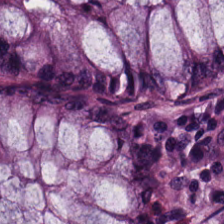Stain: hematoxylin and eosin.
Tissue: normal colonic mucosa.
